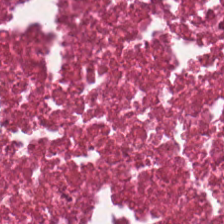H&E stain · FFPE · 224×224 px patch — This patch shows debris.
